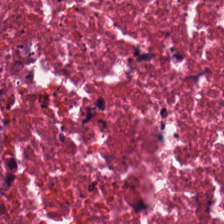Q: What is shown here?
A: The field shows debris.
